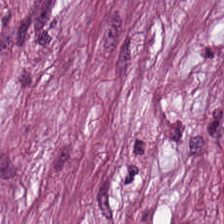Stain: hematoxylin-and-eosin stained section.
Classification: desmoplastic stroma.
